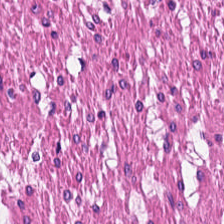Hematoxylin-and-eosin stained section. This patch shows muscularis.
